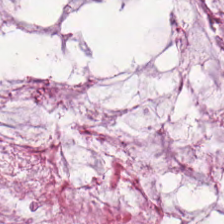H&E stain. FFPE tissue section — This field is mucin.
